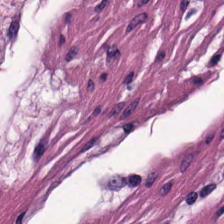WSI patch · 0.5 microns per pixel · hematoxylin-and-eosin stained section.
This patch shows muscularis.
